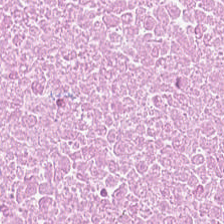Finding — debris.
